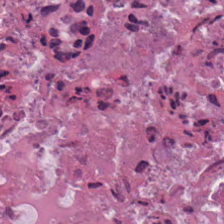Hematoxylin and eosin.
Classification: necrotic debris.
